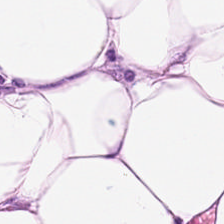Hematoxylin and eosin. This patch shows fat tissue.
